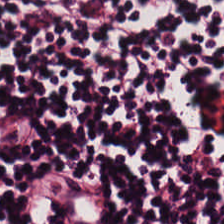224×224 px patch. H&E — Q: What does this patch show?
A: The field shows lymphocytic infiltrate.
